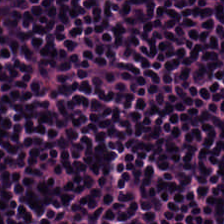H&E-stained tissue section. {"tissue_type": "lymphocyte aggregate"}
